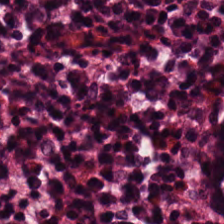H&E stain — This field is normal colon mucosa.
